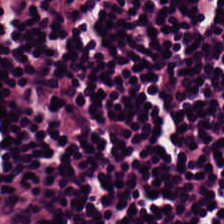Hematoxylin and eosin.
Finding → lymphocytes.
